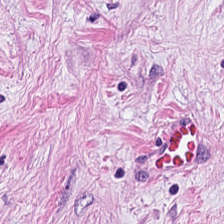Hematoxylin-and-eosin stained section. 0.5 µm/px. Brightfield. Cancer-associated stroma.
